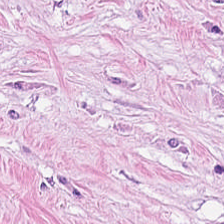Stain: H&E.
Tissue type: tumor stroma.
